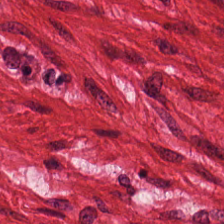H&E-stained tissue section. The predominant tissue is muscularis.
